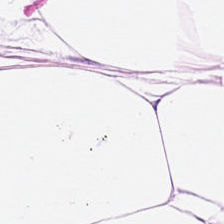H&E.
Predominantly adipose tissue.
